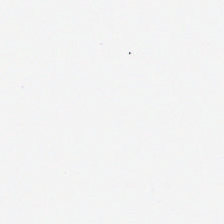H&E · FFPE tissue section. Impression → background.
